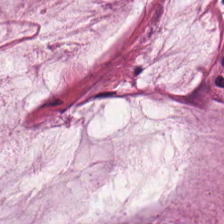The tissue is mucin.
